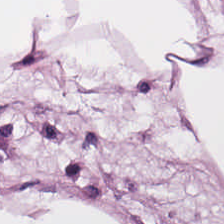The tissue type is fat tissue.
